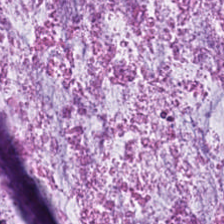Histology — mucus.
